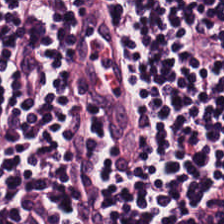FFPE tissue section. H&E stain.
Predominant tissue — lymphoid infiltrate.
